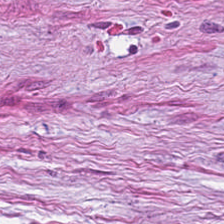Q: What tissue type is shown here?
A: Tumor-associated stroma.
